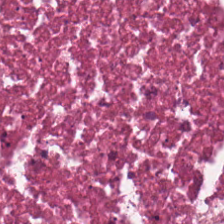H&E stain — The tissue here is cellular debris.
